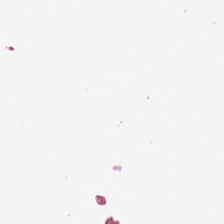This patch shows no tissue.
